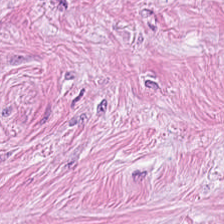Tissue class: desmoplastic stroma.
